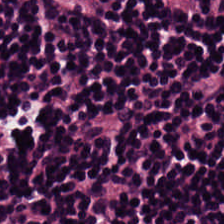Brightfield microscopy; H&E — Q: What is shown here?
A: It is lymphoid infiltrate.
